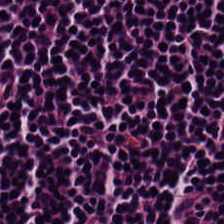Histology — lymphocytic infiltrate.
